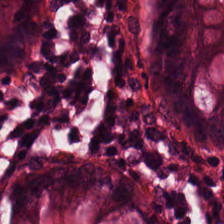Hematoxylin and eosin.
{"tissue_type": "normal colon mucosa"}
